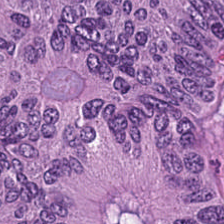H&E · 0.5 microns per pixel — {"tissue_type": "adenocarcinoma"}
